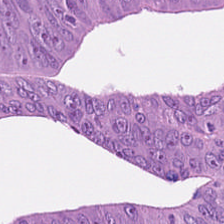Formalin-fixed paraffin-embedded section; 0.5 µm per pixel; H&E. The tissue class is tumor epithelium.
